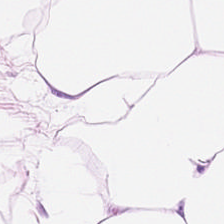WSI patch · FFPE tissue section · H&E — This field is adipose tissue.
